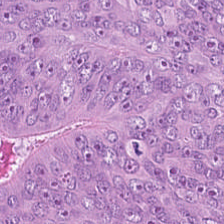Q: Identify the tissue.
A: Adenocarcinoma.
